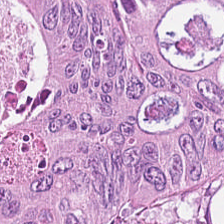FFPE tissue section. H&E-stained tissue section.
This patch shows colorectal adenocarcinoma epithelium.
